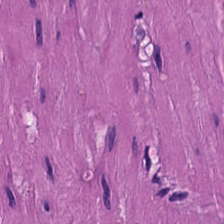H&E-stained tissue section; formalin-fixed paraffin-embedded section. The predominant tissue is smooth muscle.
